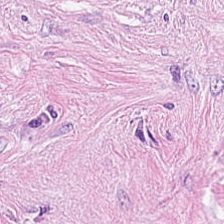Whole-slide-image patch · H&E · 0.5 microns per pixel.
Q: What is shown in this field?
A: The field shows tumor-associated stroma.
